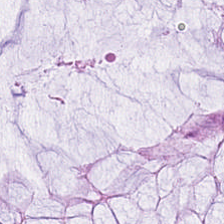Q: What type of tissue is this?
A: The field shows benign colonic mucosa.
